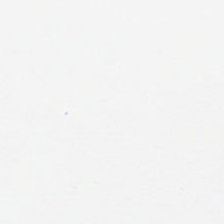224×224 px patch; H&E-stained tissue section.
This patch shows empty background.
